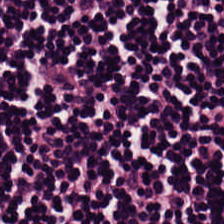224×224 pixel tile. H&E stain — {"tissue_type": "lymphocytic infiltrate"}
